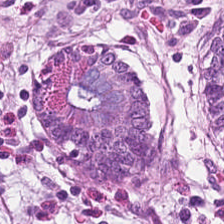FFPE tissue section · H&E stain. {"tissue_type": "normal colon mucosa"}
